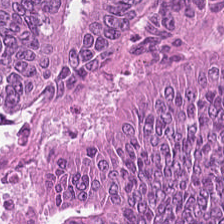H&E — Malignant epithelium.
